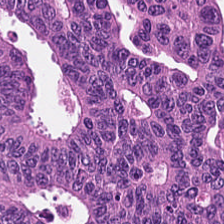Stain: hematoxylin and eosin.
Resolution: 20× equivalent magnification.
Acquisition: brightfield.
Classification: tumor epithelium.
